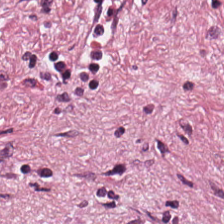H&E-stained tissue section. Formalin-fixed paraffin-embedded section. Histology — desmoplastic stroma.
